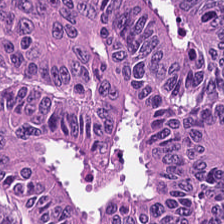FFPE; 224×224 pixel tile; H&E stain.
Predominantly malignant epithelium.
